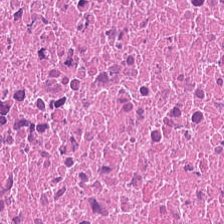Hematoxylin-and-eosin stained section.
Predominantly necrotic debris.
